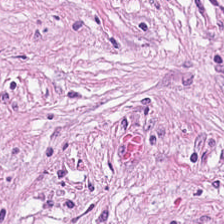The tissue here is desmoplastic stroma.
